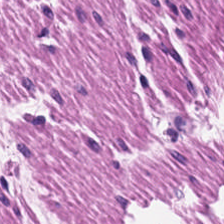H&E stain. Smooth muscle.
